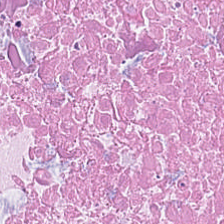H&E stain. Formalin-fixed paraffin-embedded section.
{"tissue_type": "cellular debris"}
